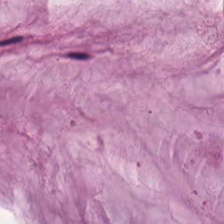0.5 µm per pixel · H&E-stained tissue section.
Q: What tissue is shown?
A: It is mucus.
